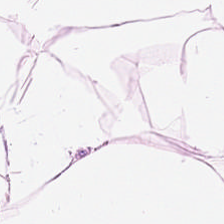Stain: hematoxylin and eosin.
Tile size: 224×224 px tile.
Preparation: FFPE tissue section.
Tissue type: adipose tissue.
